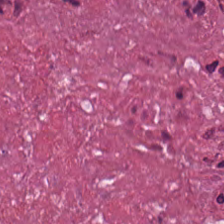224×224 pixel tile. H&E — Classification = cellular debris.
